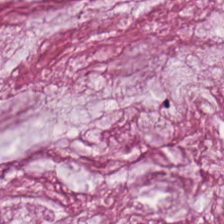H&E stain — Q: What type of tissue is this?
A: The field shows extracellular mucin.
